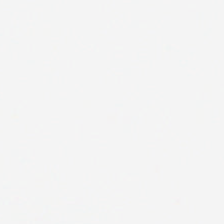Stain: H&E.
Classification: background (no tissue).
